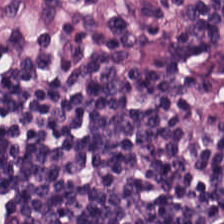Impression → lymphoid infiltrate.
